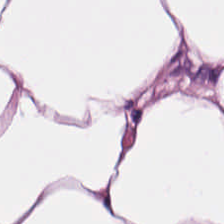Stain: hematoxylin and eosin.
Predominant tissue: adipose.
